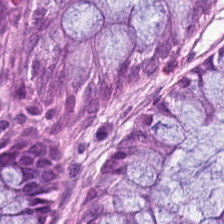224×224 px tile · hematoxylin and eosin — Predominantly non-neoplastic colon mucosa.
